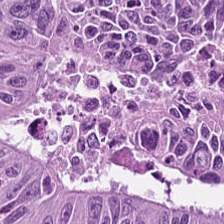Hematoxylin-and-eosin stained section — Impression → colorectal adenocarcinoma epithelium.
